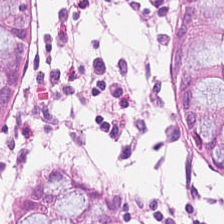The predominant tissue is normal colonic mucosa.
